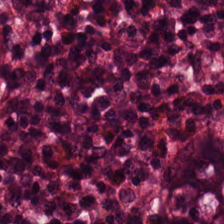Q: What is the predominant tissue type?
A: Benign colonic mucosa.
